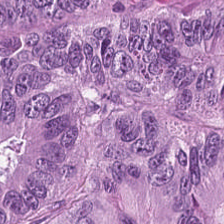Stain: hematoxylin-and-eosin stained section.
Tile size: 224×224 px tile.
Predominant tissue: colorectal adenocarcinoma epithelium.
